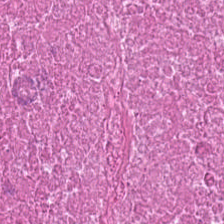Brightfield microscopy. 224×224 px patch. H&E-stained tissue section.
Debris.
